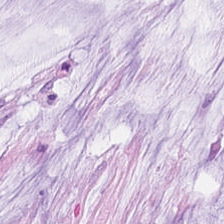H&E-stained tissue section; brightfield; 0.5 µm/px.
Predominant tissue: mucin.
